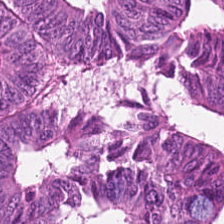H&E-stained tissue section. This patch shows adenocarcinoma.
